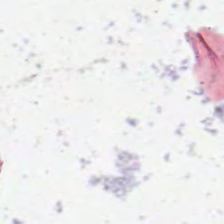Brightfield microscopy · H&E. {"content": "empty background"}
